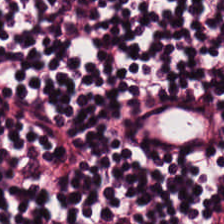H&E; WSI patch.
This patch shows lymphocytes.
